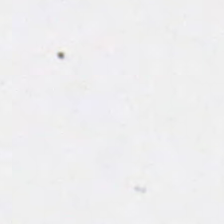Brightfield · H&E. Background — no tissue in this field.
